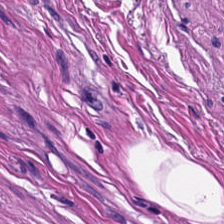Hematoxylin and eosin. Brightfield.
Tissue type = smooth muscle.
